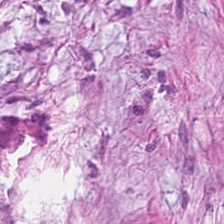H&E stain. Tissue = desmoplastic stroma.
